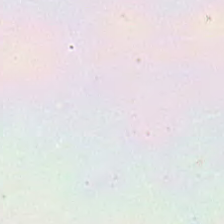Content — no tissue.
